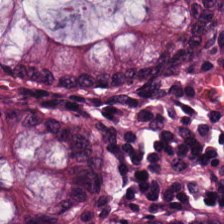Stain: hematoxylin-and-eosin stained section.
Tissue type: normal colon mucosa.
